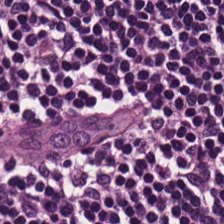H&E stain · whole-slide-image patch.
Predominantly lymphoid infiltrate.
